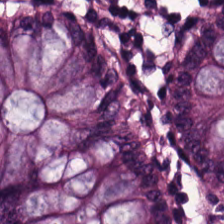H&E-stained tissue section. 0.5 microns per pixel.
The tissue here is benign colonic mucosa.
